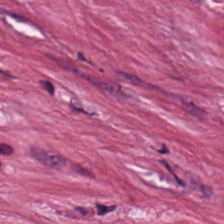Hematoxylin-and-eosin stained section. Formalin-fixed paraffin-embedded section. Brightfield microscopy — Showing cancer-associated stroma.
